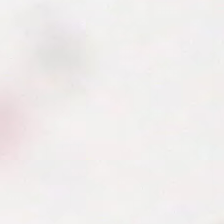Hematoxylin-and-eosin stained section — {"content": "background"}
